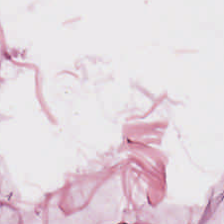FFPE · H&E-stained tissue section · 224×224 pixel tile. The tissue here is adipocytes.
